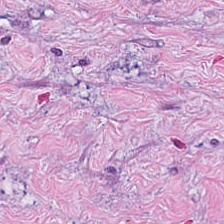Q: What does this patch show?
A: Tumor-associated stroma.
